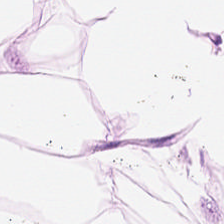224×224 px tile; FFPE tissue section; H&E-stained tissue section.
Fat tissue.
